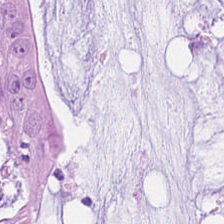Hematoxylin and eosin — Predominant tissue: mucin.
